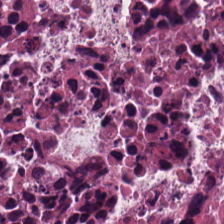0.5 microns per pixel. 224×224 px tile. Hematoxylin-and-eosin stained section.
The predominant tissue is debris.
